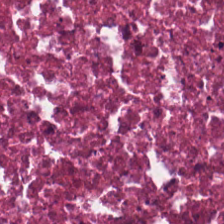FFPE. Hematoxylin and eosin.
Debris.
